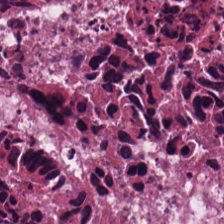Necrotic debris.
